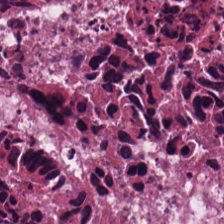Necrotic debris.
